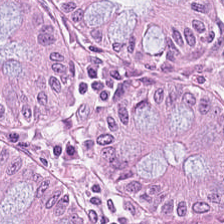Tissue type: non-neoplastic colon mucosa.
